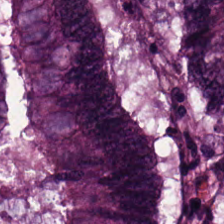224×224 px patch · hematoxylin and eosin · brightfield microscopy.
Predominantly tumor epithelium.
